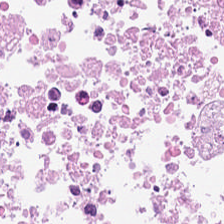Hematoxylin and eosin.
Q: Identify the tissue.
A: It is debris.
